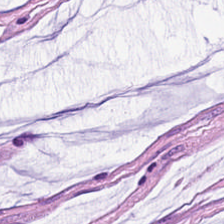H&E — This patch shows mucin.
